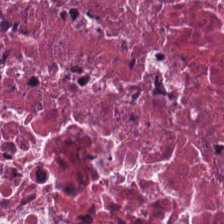Brightfield microscopy. 224×224 px tile. H&E. Q: Classify this patch.
A: It is debris.
